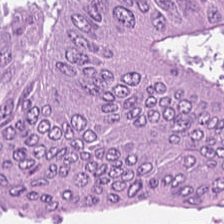Stain: H&E stain.
Tissue class: colorectal adenocarcinoma.
